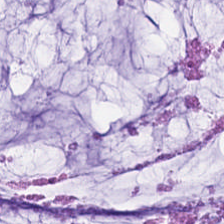0.5 µm/px. Brightfield microscopy. H&E-stained tissue section — The tissue class is mucin.
